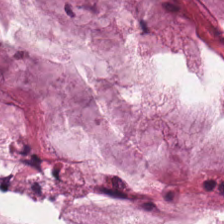Showing mucin.
